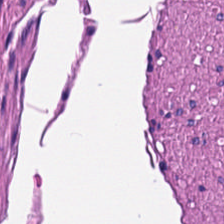H&E-stained tissue section — Smooth muscle.
